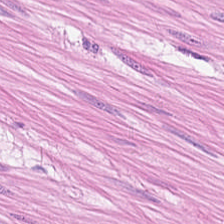224×224 px patch; hematoxylin and eosin; 20× equivalent magnification. Predominantly smooth-muscle tissue.
